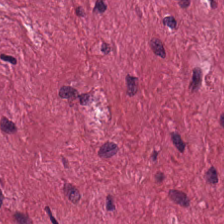H&E stain.
Tissue — tumor-associated stroma.
